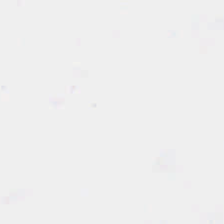H&E-stained tissue section · brightfield microscopy.
Histology — empty background.
